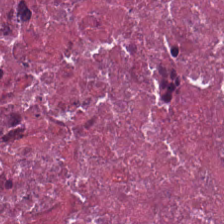Classification = necrotic debris.
